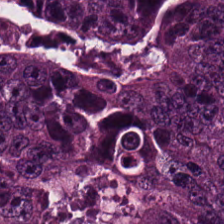H&E-stained tissue section — Predominantly colorectal adenocarcinoma epithelium.
